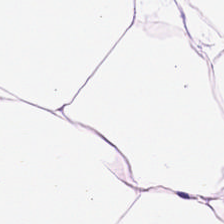Stain: H&E.
Tissue type: fat tissue.
